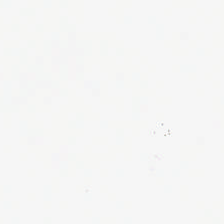H&E-stained tissue section.
No tissue present; background only.
